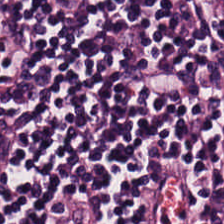Formalin-fixed paraffin-embedded section · H&E · 20× equivalent magnification — Tissue class: lymphocytic infiltrate.
